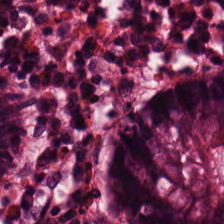224×224 px tile; 0.5 microns per pixel; H&E-stained tissue section. {"tissue_type": "benign colonic mucosa"}
